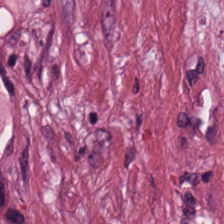Impression → tumor stroma.
